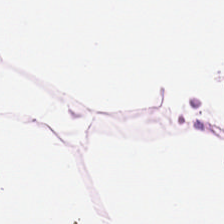Whole-slide-image patch · hematoxylin and eosin · formalin-fixed paraffin-embedded section — Fat tissue.
